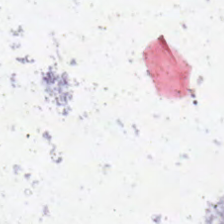Hematoxylin and eosin.
No tissue present; background only.
